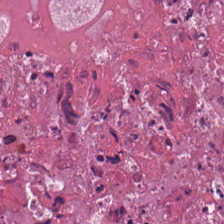H&E-stained tissue section; 0.5 µm per pixel; 224×224 px tile.
Tissue type = necrotic debris.
